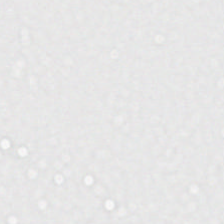H&E.
Q: What is shown here?
A: It is background (no tissue).
